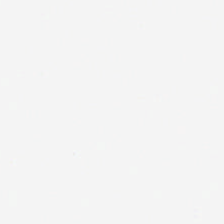H&E stain.
Q: What is shown in this field?
A: The field shows background.
